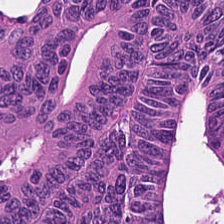H&E stain.
Classification = malignant epithelium.
